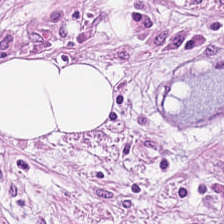This field is tumor-associated stroma.
